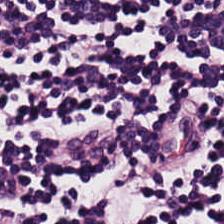The tissue type is lymphocytic infiltrate.
